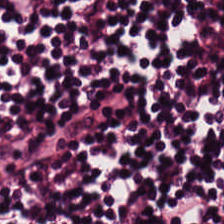Stain: H&E-stained tissue section.
Preparation: FFPE.
Classification: lymphocyte aggregate.
